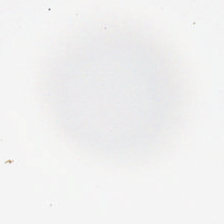FFPE. H&E-stained tissue section — The classification is background.
